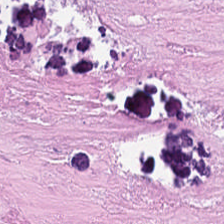H&E stain — Necrotic debris.
